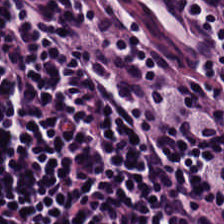Histology — lymphocytes.
